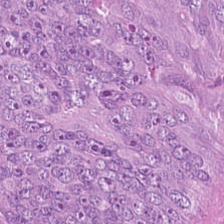H&E — Classification: colorectal adenocarcinoma.
